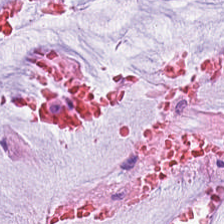H&E; formalin-fixed paraffin-embedded section. Predominant tissue — mucus.
